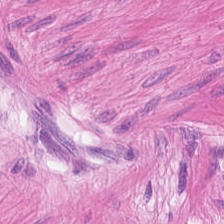Stain: hematoxylin-and-eosin stained section.
Tissue type: smooth muscle.
